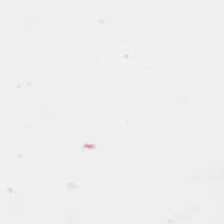Hematoxylin and eosin · 20× equivalent magnification · 224×224 px patch — No tissue present; background only.
